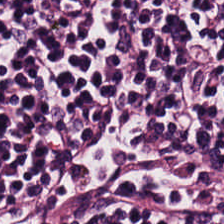Histology — lymphocytic infiltrate.
